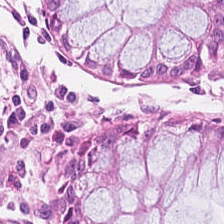Hematoxylin and eosin.
The tissue type is non-neoplastic colon mucosa.
